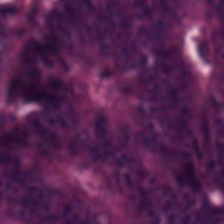Hematoxylin-and-eosin stained section. The predominant tissue is adenocarcinoma.
